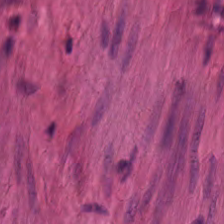Impression — smooth muscle.
